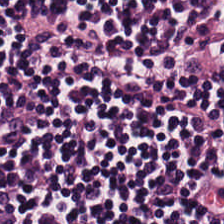H&E. The tissue here is lymphoid infiltrate.
